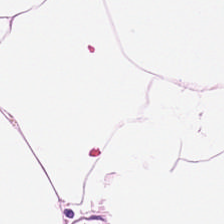FFPE tissue section. H&E-stained tissue section. 224×224 px patch.
This patch shows fat tissue.
